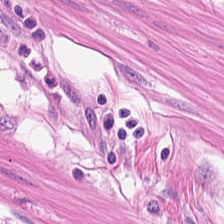Hematoxylin-and-eosin section: smooth muscle.
